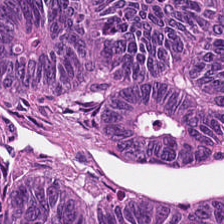Stain: H&E stain.
Tissue type: tumor epithelium.
